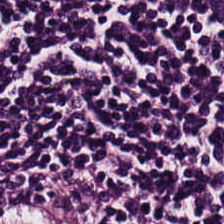Formalin-fixed paraffin-embedded section. Brightfield microscopy. Hematoxylin-and-eosin stained section.
Showing lymphocyte aggregate.
